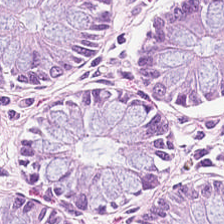H&E-stained tissue section — Q: What tissue is shown?
A: It is normal colon mucosa.
